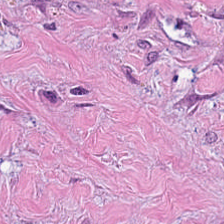Hematoxylin-and-eosin stained section. Q: What is shown in this field?
A: Cancer-associated stroma.
